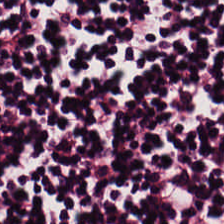224×224 px tile; H&E stain. Predominantly lymphocytic infiltrate.
